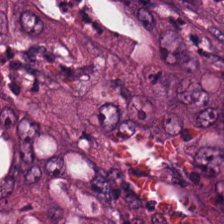Tissue class: colorectal adenocarcinoma.
